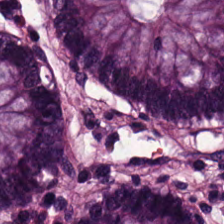The predominant tissue is normal colon mucosa.
